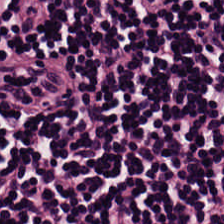0.5 µm/px · H&E. The tissue is lymphocytes.
